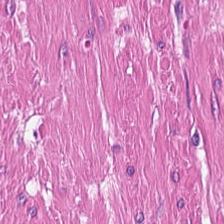Showing smooth muscle.
